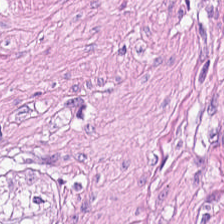H&E stain. Whole-slide-image patch. Tissue class — muscularis.
